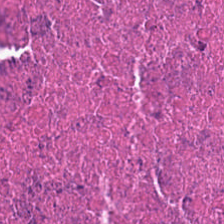Hematoxylin-and-eosin stained section — Showing debris.
